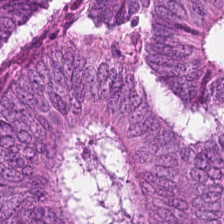Classification: colorectal adenocarcinoma epithelium.
